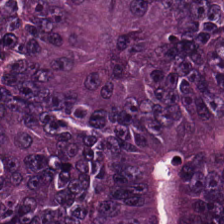0.5 µm per pixel; 224×224 px tile; H&E — Q: What is the predominant tissue type?
A: It is adenocarcinoma.
